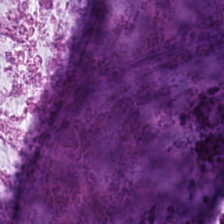H&E-stained tissue section — Q: What is shown here?
A: The field shows mucus.
